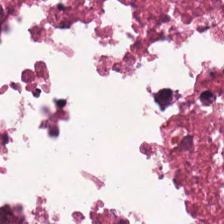Stain: H&E stain.
Acquisition: brightfield.
Classification: cellular debris.
